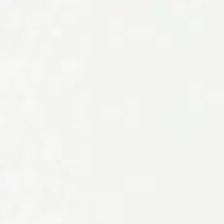Stain: H&E stain.
Tile size: 224×224 px patch.
Content: background (no tissue).
